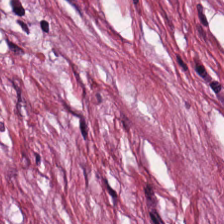H&E; brightfield microscopy; FFPE. {"tissue_type": "tumor stroma"}
